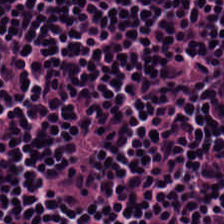Histology — lymphocytic infiltrate.
